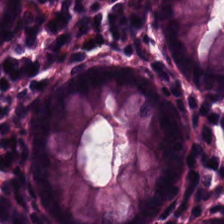0.5 µm per pixel. H&E-stained tissue section.
The tissue here is benign colonic mucosa.
